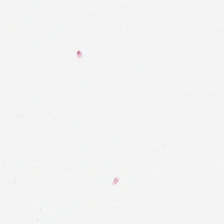H&E.
Impression → background.
